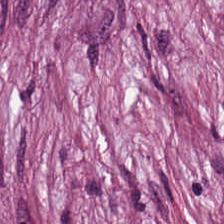Showing tumor stroma.
